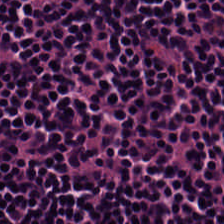H&E.
Tissue = lymphoid infiltrate.
